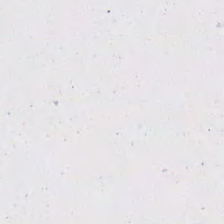Empty field — no tissue.
